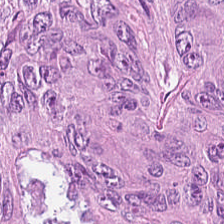Hematoxylin and eosin.
Q: What type of tissue is this?
A: The field shows colorectal adenocarcinoma epithelium.
